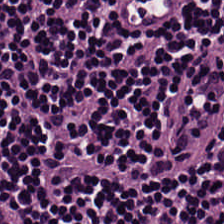Stain: H&E-stained tissue section.
Resolution: 0.5 µm per pixel.
Tissue: lymphocyte aggregate.
